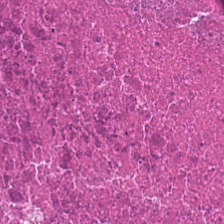Finding — necrotic debris.
